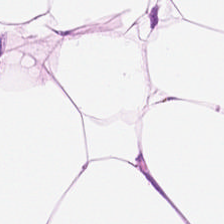H&E.
{"tissue_type": "adipose"}
